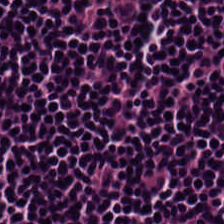Hematoxylin and eosin — Lymphocytes.
